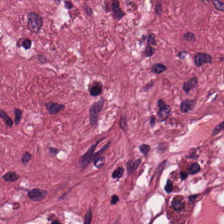Hematoxylin and eosin — This patch shows tumor stroma.
